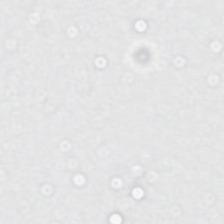H&E — Background — no tissue in this field.
